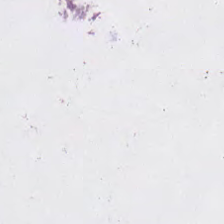Hematoxylin and eosin · FFPE tissue section · 0.5 µm/px. Empty field — background (no tissue).
